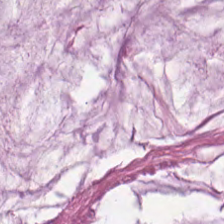H&E — extracellular mucin.
